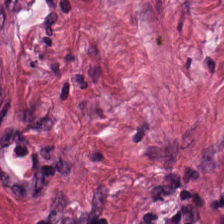Hematoxylin-and-eosin stained section.
Predominantly tumor stroma.
